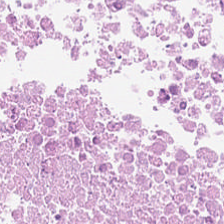Hematoxylin and eosin — Q: What is shown in this field?
A: This is necrotic debris.
